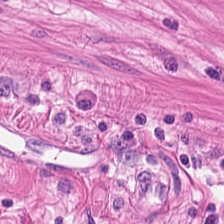Stain: H&E stain.
Predominant tissue: muscularis.
